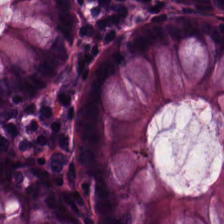Formalin-fixed paraffin-embedded section · hematoxylin-and-eosin stained section · WSI patch.
{"tissue_type": "non-neoplastic colon mucosa"}
